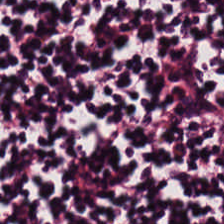Stain: H&E.
Acquisition: WSI patch.
Predominant tissue: lymphoid infiltrate.
